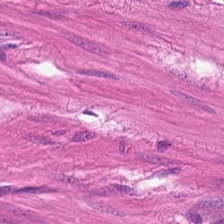Smooth muscle.
